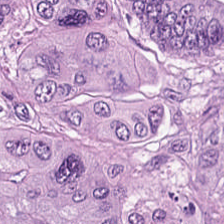224×224 px tile. Hematoxylin-and-eosin stained section. Tissue type: colorectal adenocarcinoma epithelium.
